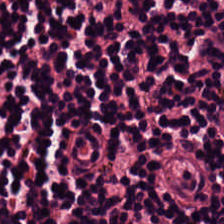H&E-stained tissue section. Finding — lymphocytic infiltrate.
